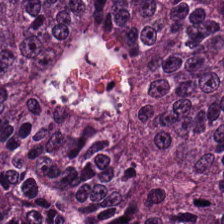The tissue type is tumor epithelium.
